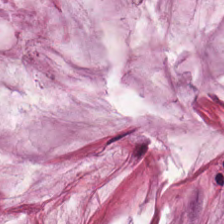The classification is extracellular mucin.
